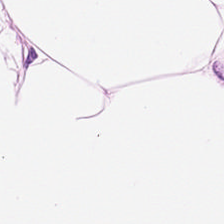Whole-slide-image patch. H&E. The tissue class is fat tissue.
